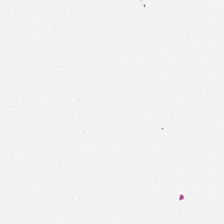Stain: H&E stain.
Preparation: FFPE.
Field content: no tissue.
